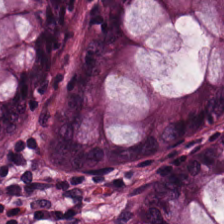224×224 pixel tile. Hematoxylin and eosin.
Showing benign colonic mucosa.
